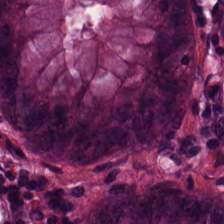0.5 microns per pixel. Hematoxylin-and-eosin stained section — Histology — benign colonic mucosa.
